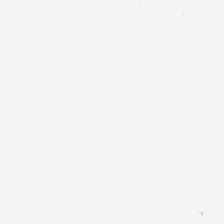Hematoxylin and eosin — This patch shows empty background.
